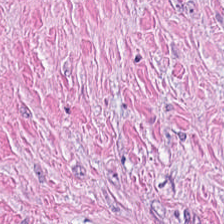FFPE tissue section; hematoxylin and eosin — The tissue is tumor-associated stroma.
